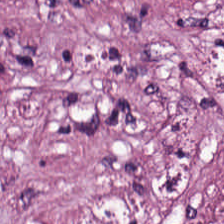Hematoxylin and eosin — Tissue class = desmoplastic stroma.
